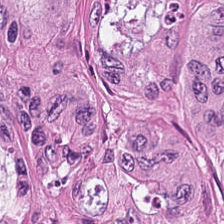Stain: H&E.
Resolution: 0.5 microns per pixel.
Preparation: FFPE.
Tissue: malignant epithelium.
